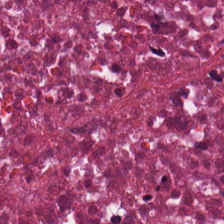Q: What type of tissue is this?
A: The field shows cellular debris.
